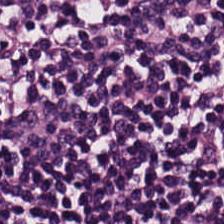Impression → lymphocyte aggregate.
